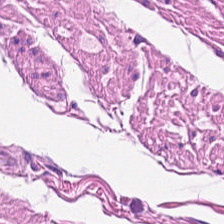Impression → smooth-muscle tissue.
